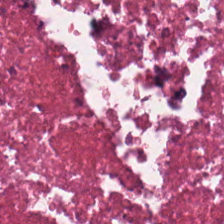Hematoxylin-and-eosin stained section; 224×224 pixel tile.
Q: What is shown here?
A: This is necrotic debris.
